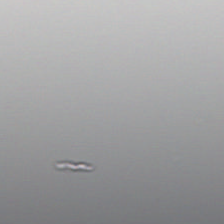H&E-stained tissue section — No tissue present; background only.
